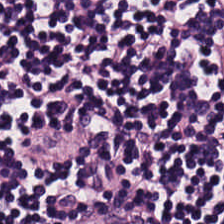Tissue class: lymphocytes.
